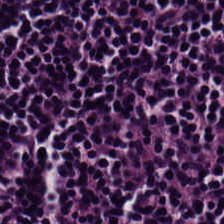This field is lymphocytic infiltrate.
